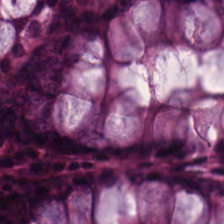Brightfield · H&E stain · 0.5 microns per pixel.
Q: What is shown in this field?
A: The field shows non-neoplastic colon mucosa.
